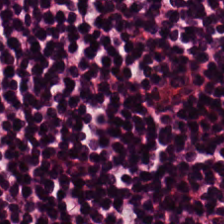Brightfield. H&E — Lymphoid infiltrate.
